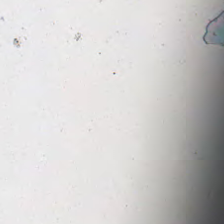No tissue present; background only.
